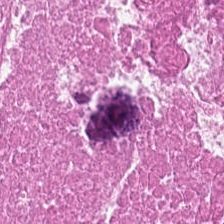H&E — Cellular debris.
